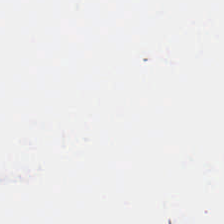Hematoxylin-and-eosin stained section — Classification: background (no tissue).
